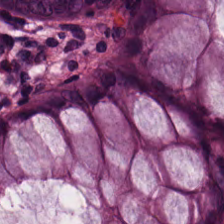Predominantly non-neoplastic colon mucosa.
